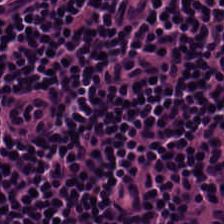H&E patch showing lymphocytes.
